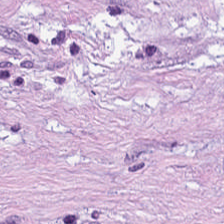Tissue — tumor stroma.
